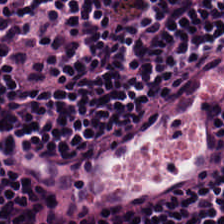H&E stain. The classification is lymphocyte aggregate.
